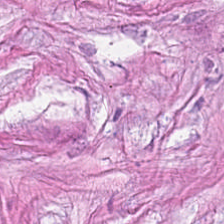H&E stain — Predominant tissue: tumor stroma.
